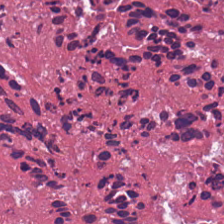H&E.
Tissue type: debris.
